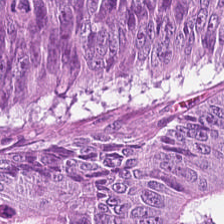Q: What does this patch show?
A: Colorectal adenocarcinoma.
